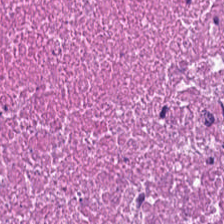H&E stain. The classification is necrotic debris.
